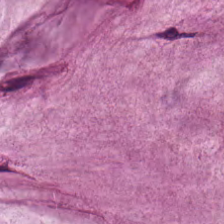Hematoxylin-and-eosin stained section; 224×224 px patch. Q: What tissue type is shown here?
A: The field shows mucin.
